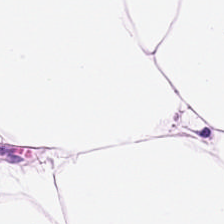Tissue class: adipose.
